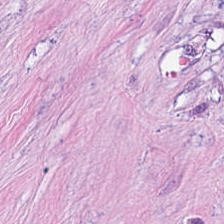224×224 pixel tile; H&E stain — The predominant tissue is desmoplastic stroma.
